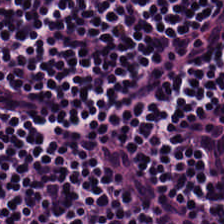{"tissue_type": "lymphocyte aggregate"}
